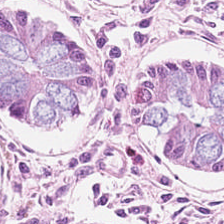Stain: H&E-stained tissue section.
Acquisition: brightfield microscopy.
Resolution: 0.5 microns per pixel.
Classification: non-neoplastic colon mucosa.
